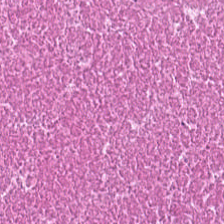Hematoxylin-and-eosin section: cellular debris.
